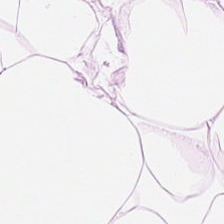Stain: H&E.
Preparation: FFPE tissue section.
Resolution: 0.5 µm/px.
Tissue class: adipose tissue.
